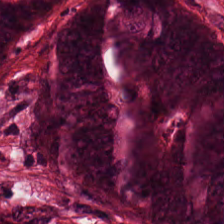224×224 px tile. H&E.
Predominantly colorectal adenocarcinoma epithelium.
